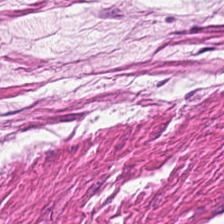H&E. Predominant tissue: smooth muscle.
